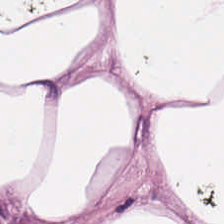H&E-stained tissue section — {"tissue_type": "adipose"}
